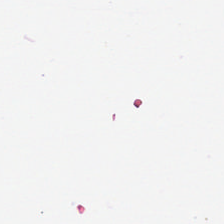H&E. Finding → background (no tissue).
